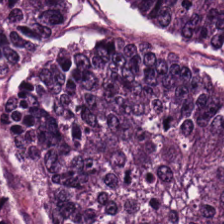H&E stain · FFPE tissue section — The classification is colorectal adenocarcinoma epithelium.
